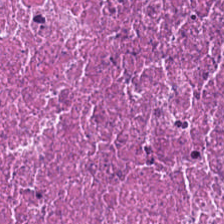Stain: H&E.
Classification: debris.
